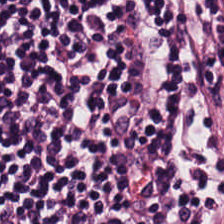This field is lymphocytes.
